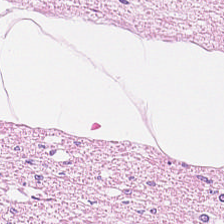H&E-stained tissue section.
Classification: smooth-muscle tissue.
